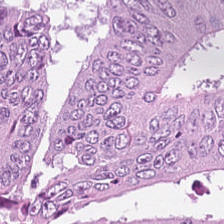0.5 microns per pixel; 224×224 px tile; H&E — The predominant tissue is adenocarcinoma.
